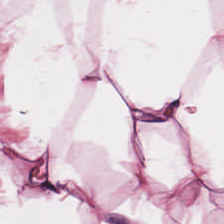Hematoxylin and eosin. Classification: adipocytes.
